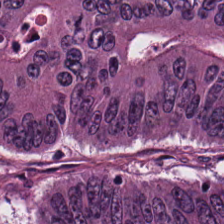H&E-stained tissue section. Impression — colorectal adenocarcinoma.
